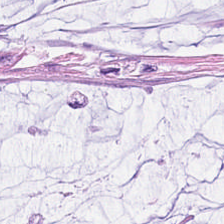H&E-stained tissue section.
Impression — mucin.
